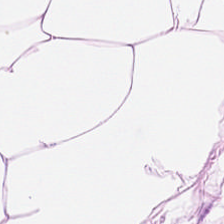20× equivalent magnification · H&E. Predominantly adipose tissue.
